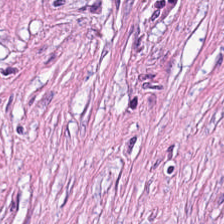H&E-stained tissue section; 0.5 microns per pixel — Q: What type of tissue is this?
A: The field shows cancer-associated stroma.
